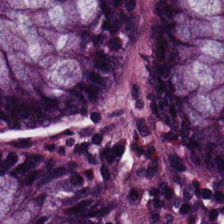H&E patch showing benign colonic mucosa.
